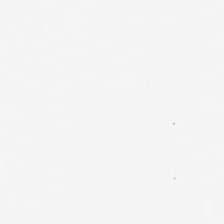H&E-stained tissue section. Content: no tissue.
